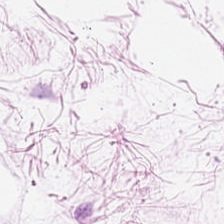H&E-stained section; the field shows adipose tissue.
